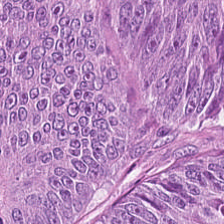Hematoxylin and eosin.
Finding — malignant epithelium.
